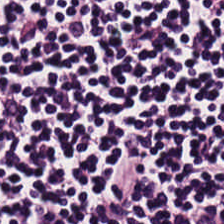Hematoxylin-and-eosin stained section — The tissue here is lymphocyte aggregate.
